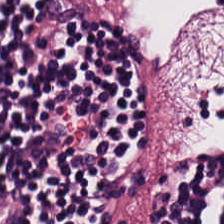Stain: hematoxylin-and-eosin stained section.
Tissue class: lymphocyte aggregate.
